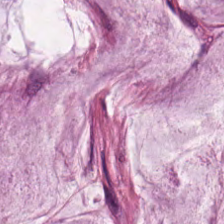Stain: hematoxylin and eosin.
Predominant tissue: extracellular mucin.
